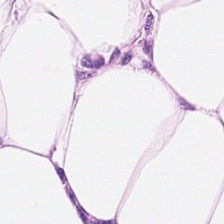H&E-stained tissue section; 0.5 µm/px; 224×224 px tile.
Predominant tissue: adipocytes.
